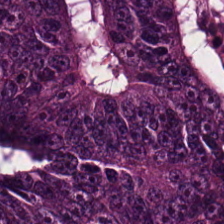H&E-stained tissue section.
Tissue class = malignant epithelium.
